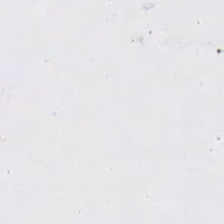H&E — The classification is background.
